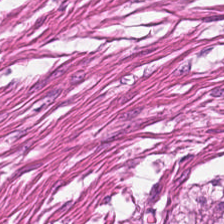Hematoxylin-and-eosin section: smooth muscle.
